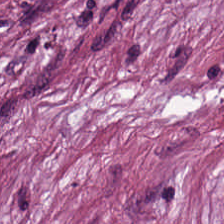The tissue here is cancer-associated stroma.
